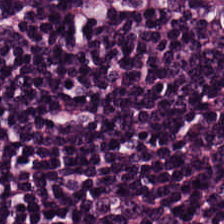H&E stain. 224×224 pixel tile. 0.5 microns per pixel.
Predominantly lymphocyte aggregate.
